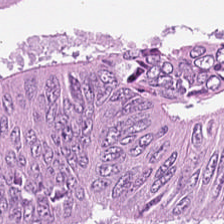Hematoxylin-and-eosin stained section; 0.5 µm/px — Colorectal adenocarcinoma.
